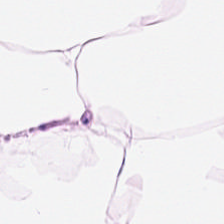Hematoxylin-and-eosin stained section.
Adipose.
